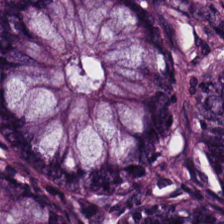H&E-stained tissue section; 20× equivalent magnification — {"tissue_type": "non-neoplastic colon mucosa"}
